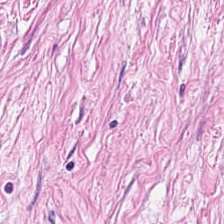H&E-stained tissue section. 0.5 µm per pixel.
This field is tumor stroma.
